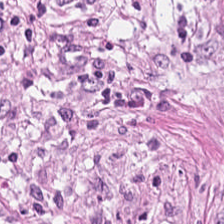Hematoxylin and eosin.
Histology → tumor stroma.
